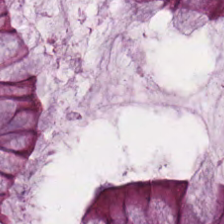This patch shows benign colonic mucosa.
